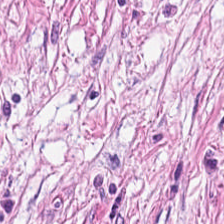H&E-stained tissue section; WSI patch — Q: What tissue is shown?
A: The field shows tumor-associated stroma.
